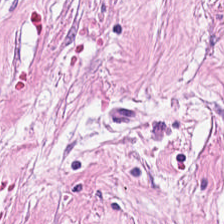H&E stain — Q: Identify the tissue.
A: Tumor-associated stroma.
